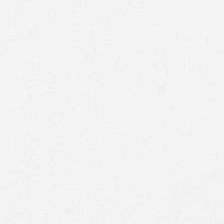H&E stain.
No tissue present; background only.
